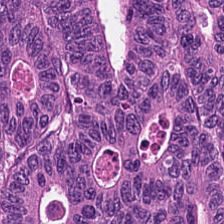H&E.
The tissue class is tumor epithelium.
